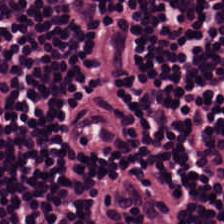Hematoxylin-and-eosin stained section; 224×224 px tile.
The predominant tissue is lymphoid infiltrate.
